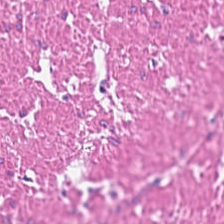H&E. The tissue type is smooth muscle.
